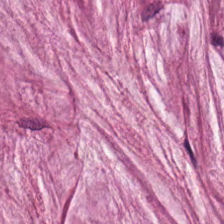H&E. This patch shows extracellular mucin.
